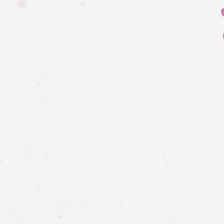0.5 µm per pixel; H&E stain. Content = no tissue.
